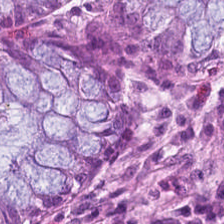H&E-stained tissue section — The predominant tissue is normal colonic mucosa.
